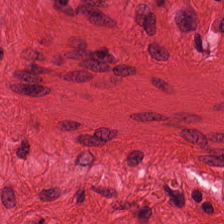224×224 px tile. 0.5 µm per pixel. Hematoxylin and eosin. This patch shows muscularis.
